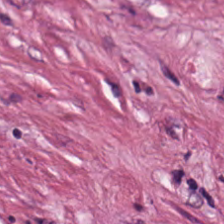Stain: H&E.
Resolution: 0.5 µm/px.
Tissue type: tumor stroma.
